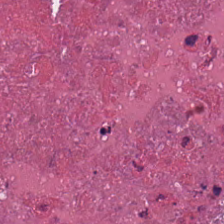{"tissue_type": "debris"}
